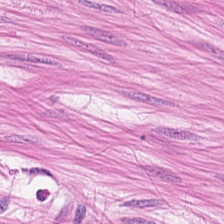Q: What type of tissue is this?
A: The field shows smooth-muscle tissue.
